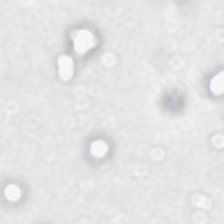H&E stain.
Content: background (no tissue).
